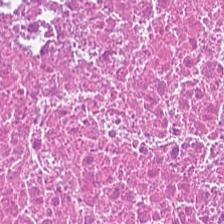FFPE. Hematoxylin and eosin.
The tissue here is necrotic debris.
